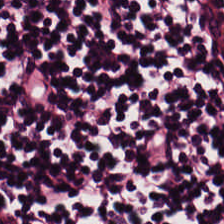20× equivalent magnification; H&E stain; formalin-fixed paraffin-embedded section. The predominant tissue is lymphoid infiltrate.
